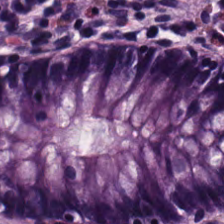Hematoxylin and eosin.
Non-neoplastic colon mucosa.
